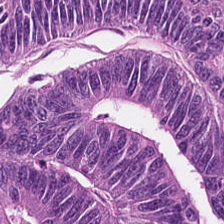H&E-stained tissue section.
The tissue here is tumor epithelium.
